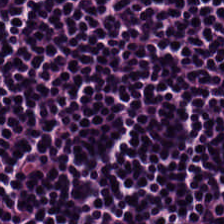Stain: hematoxylin-and-eosin stained section.
Tile size: 224×224 px tile.
Classification: lymphoid infiltrate.
